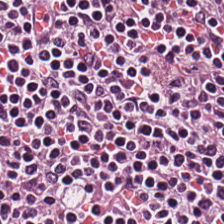Stain: hematoxylin and eosin.
Tissue: lymphocytic infiltrate.
